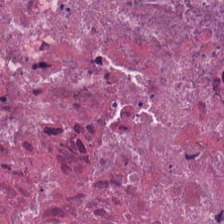Stain: hematoxylin-and-eosin stained section.
Tile size: 224×224 px tile.
Resolution: 0.5 µm per pixel.
Predominant tissue: necrotic debris.
